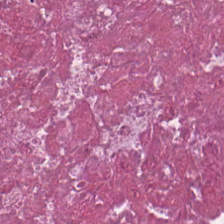H&E-stained tissue section — Debris.
